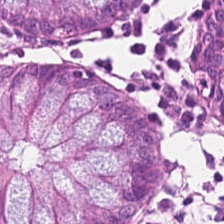Hematoxylin-and-eosin stained section. Showing benign colonic mucosa.
